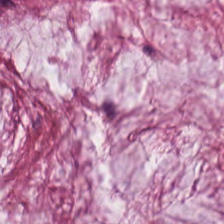H&E stain · 224×224 pixel tile — Q: Identify the tissue.
A: The field shows mucin.
